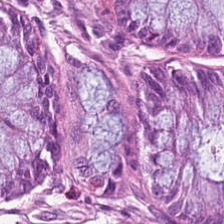Hematoxylin and eosin.
Q: What tissue type is shown here?
A: This is normal colonic mucosa.
